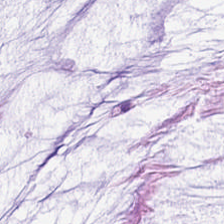H&E · 224×224 pixel tile.
The predominant tissue is mucin.
